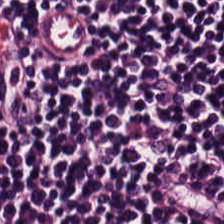Brightfield. H&E-stained tissue section. 224×224 px tile. This field is lymphoid infiltrate.
